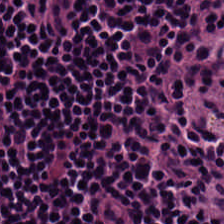H&E. The tissue here is lymphocyte aggregate.
